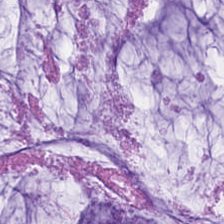Hematoxylin-and-eosin stained section.
Tissue type = mucin.
